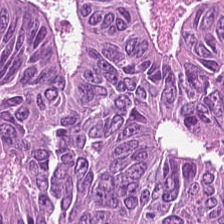Hematoxylin-and-eosin section: adenocarcinoma.
